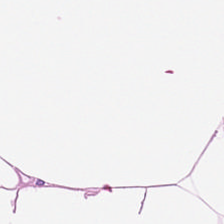Q: Classify this patch.
A: The field shows fat tissue.
